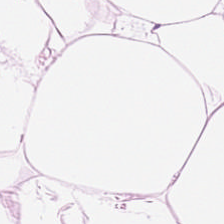H&E stain.
The predominant tissue is adipocytes.
